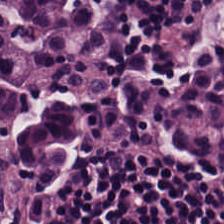H&E stain.
Impression → lymphocytic infiltrate.
